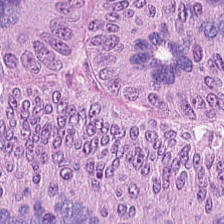H&E stain. Brightfield — This field is colorectal adenocarcinoma epithelium.
